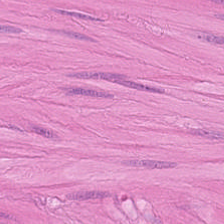Predominant tissue — smooth-muscle tissue.
